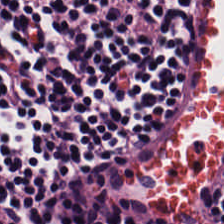Hematoxylin and eosin.
Q: What does this patch show?
A: It is lymphocyte aggregate.
